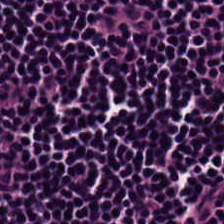H&E stain.
Classification = lymphocytic infiltrate.
